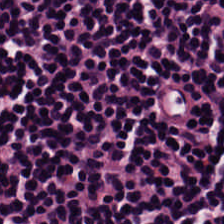Finding — lymphoid infiltrate.
